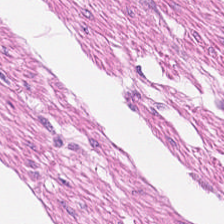Showing smooth muscle.
